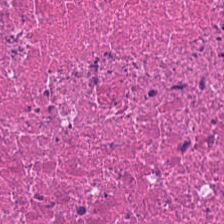Stain: H&E.
Resolution: 0.5 µm per pixel.
Predominant tissue: cellular debris.
